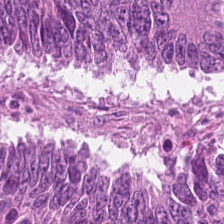Q: Identify the tissue.
A: The field shows malignant epithelium.
